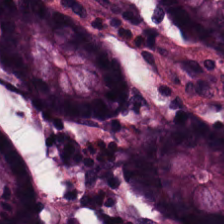Hematoxylin-and-eosin stained section.
Histology → non-neoplastic colon mucosa.
